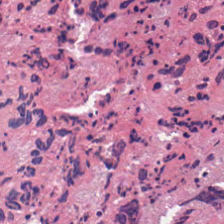224×224 pixel tile; hematoxylin and eosin. Histology → cellular debris.
